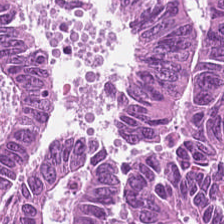H&E-stained tissue section — Impression → colorectal adenocarcinoma.
